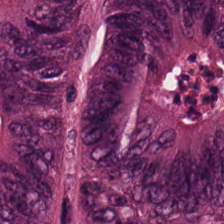Hematoxylin-and-eosin stained section — The classification is colorectal adenocarcinoma.
